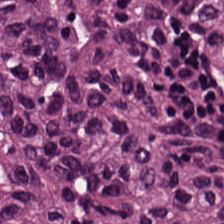Stain: H&E-stained tissue section.
Tissue type: tumor epithelium.
